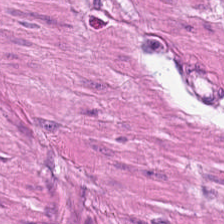Hematoxylin-and-eosin stained section.
Predominantly muscularis.
